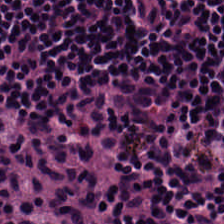Tissue class — lymphocytes.
